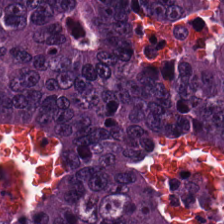Hematoxylin and eosin. Q: What is shown here?
A: This is adenocarcinoma.
